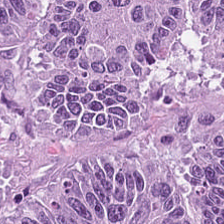FFPE; H&E-stained tissue section; whole-slide-image patch — Impression — adenocarcinoma.
